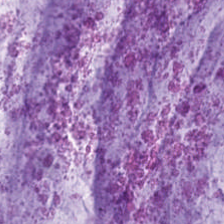H&E. Tissue type = mucin.
